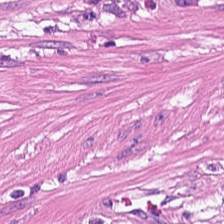H&E-stained tissue section. Tissue class: smooth-muscle tissue.
